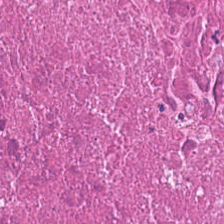Hematoxylin-and-eosin stained section — Classification: necrotic debris.
